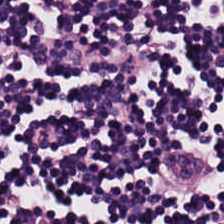Q: What is shown here?
A: Lymphocytic infiltrate.
